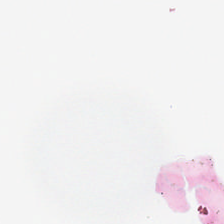224×224 pixel tile. H&E stain. Background — no tissue in this field.
